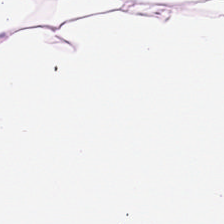This field is adipocytes.
